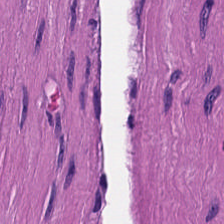224×224 pixel tile; H&E. Tissue — smooth muscle.
